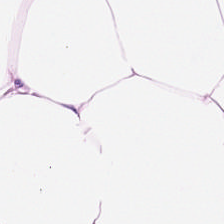H&E-stained tissue section — Predominantly adipose.
